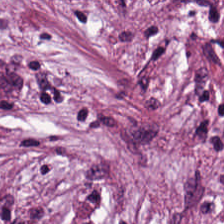{"tissue_type": "tumor-associated stroma"}
